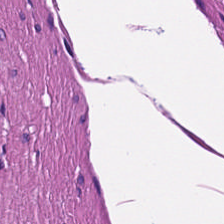224×224 pixel tile; WSI patch; H&E. Tissue: smooth-muscle tissue.
